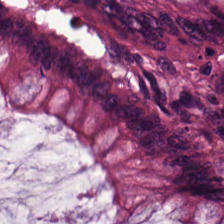Hematoxylin and eosin. Q: What is the predominant tissue type?
A: Benign colonic mucosa.
